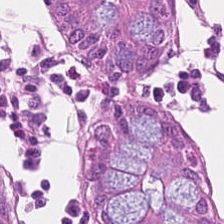H&E stain · formalin-fixed paraffin-embedded section.
Tissue: normal colon mucosa.
